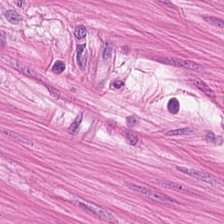Hematoxylin-and-eosin stained section.
The tissue class is smooth muscle.
